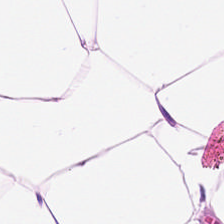H&E-stained tissue section.
Impression → adipose.
